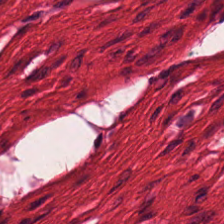Hematoxylin and eosin. Q: What type of tissue is this?
A: This is smooth muscle.
